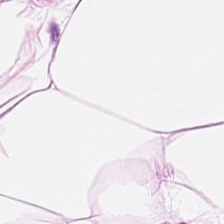Finding — adipose tissue.
